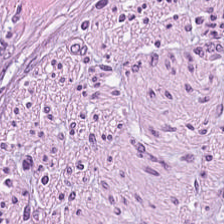0.5 µm per pixel; H&E-stained tissue section. Predominantly desmoplastic stroma.
